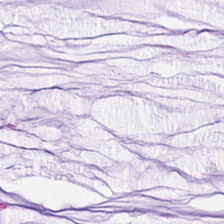Tissue class — mucin.
